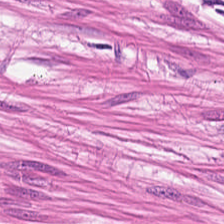Stain: H&E.
Preparation: FFPE.
Tissue: muscularis.
